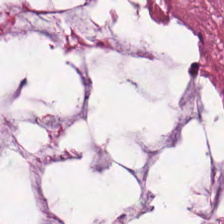224×224 px tile. H&E-stained tissue section.
The predominant tissue is extracellular mucin.
